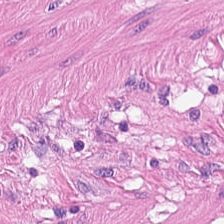H&E stain. This field is smooth-muscle tissue.
